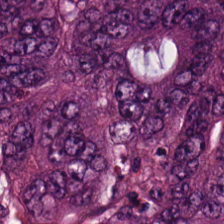Q: What is shown here?
A: It is colorectal adenocarcinoma.
